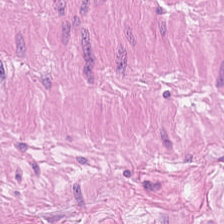Formalin-fixed paraffin-embedded section. 20× equivalent magnification. H&E stain — Showing smooth-muscle tissue.
